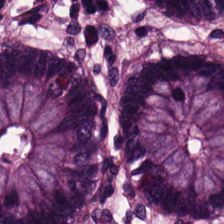Stain: hematoxylin and eosin.
Acquisition: whole-slide-image patch.
Resolution: 0.5 µm per pixel.
Tissue type: non-neoplastic colon mucosa.
